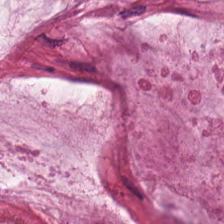WSI patch · 20× equivalent magnification · H&E-stained tissue section.
{"tissue_type": "mucin"}
